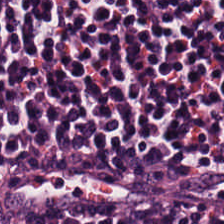Q: What does this patch show?
A: It is lymphoid infiltrate.
